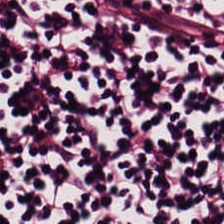H&E-stained tissue section.
Impression → lymphocyte aggregate.
